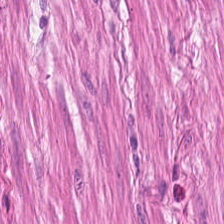H&E-stained tissue section — Predominantly smooth-muscle tissue.
